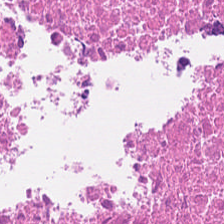Impression → cellular debris.
